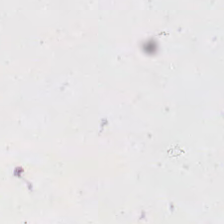FFPE tissue section; hematoxylin-and-eosin stained section.
Impression → empty background.
